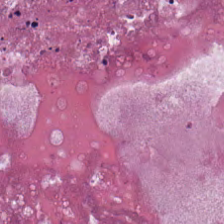H&E stain — Q: What tissue is shown?
A: It is debris.
